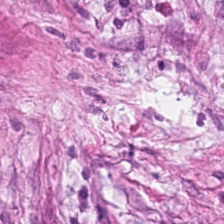Hematoxylin-and-eosin stained section · WSI patch — The tissue class is desmoplastic stroma.
